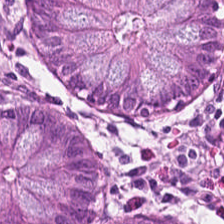This field is benign colonic mucosa.
